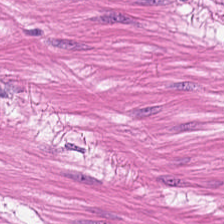Impression → smooth-muscle tissue.
